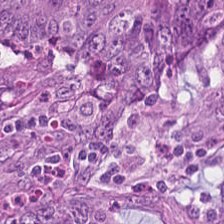Tissue class — colorectal adenocarcinoma epithelium.
